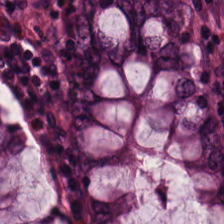Stain: hematoxylin-and-eosin stained section.
Tissue class: non-neoplastic colon mucosa.
